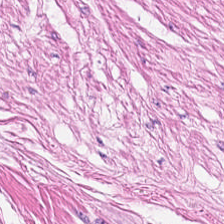FFPE tissue section · H&E stain. Tissue type — muscularis.
